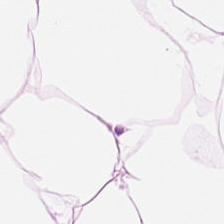Hematoxylin and eosin. Predominant tissue: adipose.
